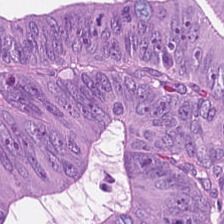H&E stain · 20× equivalent magnification — This patch shows colorectal adenocarcinoma epithelium.
